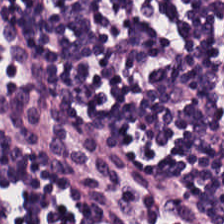224×224 px tile; H&E. Lymphocytic infiltrate.
